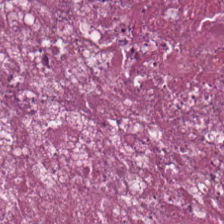0.5 µm/px; H&E stain.
This field is cellular debris.
